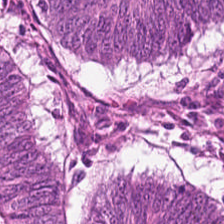Hematoxylin-and-eosin stained section. Whole-slide-image patch. The tissue class is malignant epithelium.
